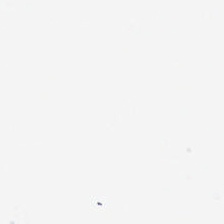H&E. Q: What does this patch show?
A: The field shows empty background.
